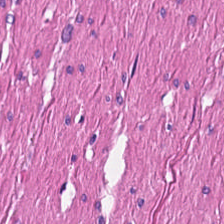This patch shows smooth-muscle tissue.
